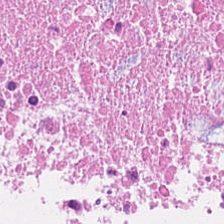224×224 px tile. FFPE. Hematoxylin and eosin — Predominant tissue: cellular debris.
